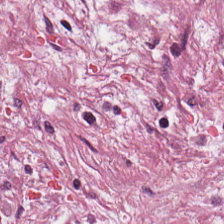Stain: H&E-stained tissue section.
Tissue class: tumor stroma.
